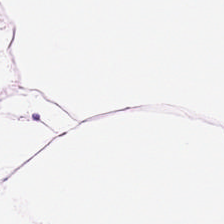Impression — adipose tissue.
